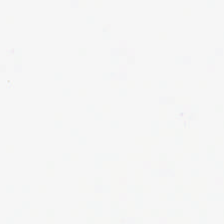Hematoxylin-and-eosin stained section — The field content is background (no tissue).
